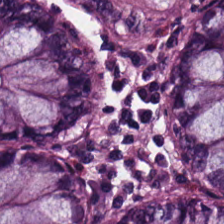Hematoxylin-and-eosin stained section. 20× equivalent magnification.
This patch shows normal colon mucosa.
